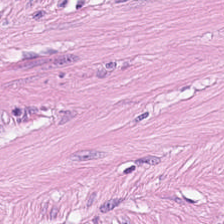Q: What does this patch show?
A: The field shows smooth muscle.
